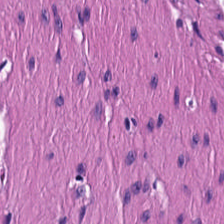Tissue = smooth muscle.
